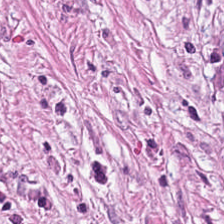Hematoxylin and eosin — Q: What is shown here?
A: The field shows tumor-associated stroma.
